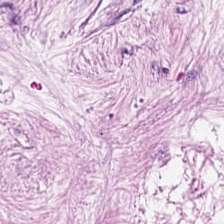Hematoxylin and eosin — Predominantly desmoplastic stroma.
